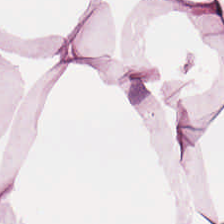Hematoxylin-and-eosin stained section — Fat tissue.
